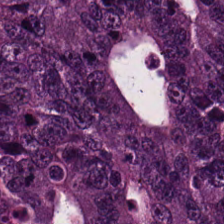H&E — This patch shows colorectal adenocarcinoma.
